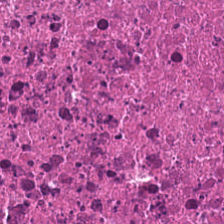20× equivalent magnification · hematoxylin and eosin — Necrotic debris.
